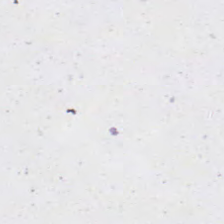H&E stain. 224×224 px patch. 20× equivalent magnification — No tissue present; background only.
